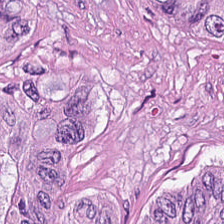Impression → adenocarcinoma.
